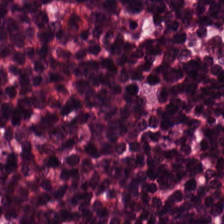H&E. FFPE — Finding → lymphocytic infiltrate.
